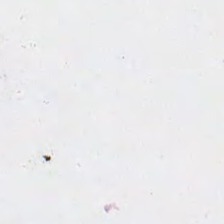Background (no tissue).
